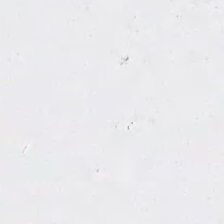Stain: H&E.
Content: no tissue.
